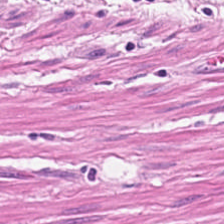Hematoxylin-and-eosin stained section. Whole-slide-image patch.
Q: What is the predominant tissue type?
A: The field shows smooth muscle.
